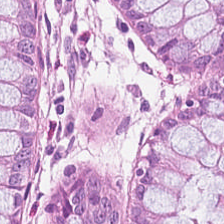Stain: H&E-stained tissue section.
Tissue class: benign colonic mucosa.
